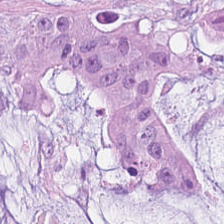Whole-slide-image patch; FFPE tissue section; hematoxylin-and-eosin stained section. Finding → mucus.
